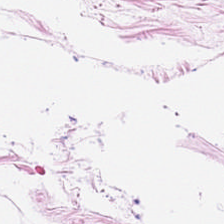Tissue class — adipocytes.
